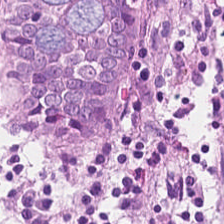Hematoxylin and eosin.
Showing normal colon mucosa.
